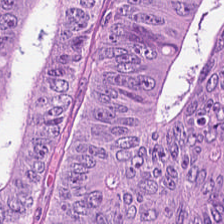224×224 pixel tile · H&E stain. The tissue here is malignant epithelium.
